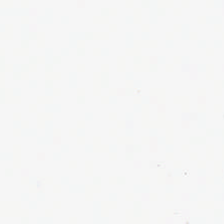Stain: hematoxylin and eosin.
Field content: background (no tissue).
